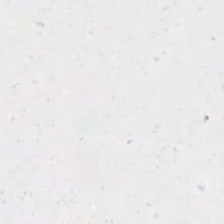Hematoxylin and eosin — Field content = empty background.
